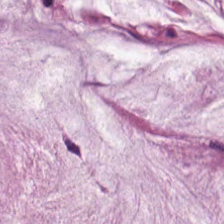Stain: hematoxylin and eosin.
Classification: mucus.
